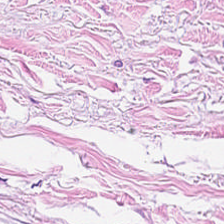H&E stain. Brightfield. 224×224 px tile — Q: Classify this patch.
A: It is desmoplastic stroma.
